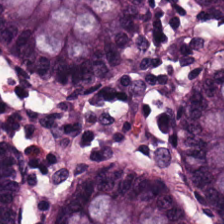Brightfield microscopy. Hematoxylin-and-eosin stained section. 0.5 µm/px — Predominantly normal colon mucosa.
